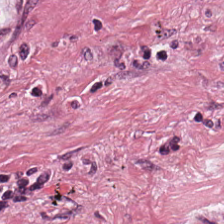H&E — Histology → cancer-associated stroma.
